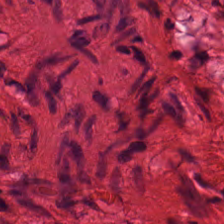H&E-stained tissue section. Predominantly smooth-muscle tissue.
